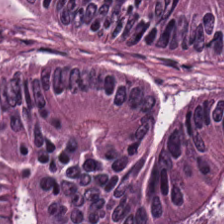H&E stain; 0.5 µm per pixel; WSI patch. Predominantly adenocarcinoma.
